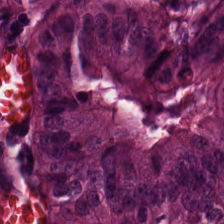Hematoxylin-and-eosin stained section.
The predominant tissue is adenocarcinoma.
